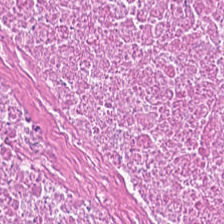Tissue type: necrotic debris.
